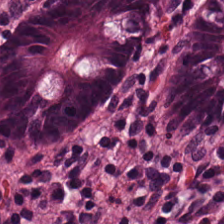Stain: hematoxylin-and-eosin stained section.
Acquisition: WSI patch.
Resolution: 20× equivalent magnification.
Tissue class: normal colonic mucosa.
